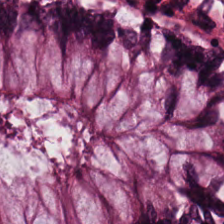Tissue class: normal colonic mucosa.
